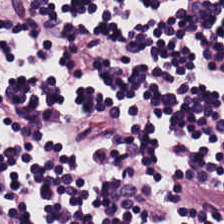Tissue class — lymphocytic infiltrate.
